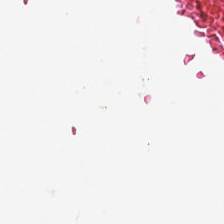H&E stain. 224×224 px patch.
Background.
